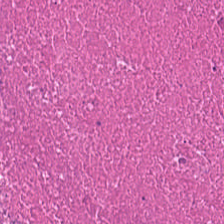Whole-slide-image patch · hematoxylin-and-eosin stained section. The predominant tissue is debris.
